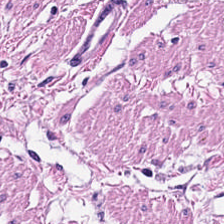H&E-stained tissue section — Q: What tissue type is shown here?
A: Muscularis.
